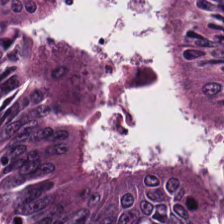Hematoxylin and eosin. Predominant tissue: tumor epithelium.
